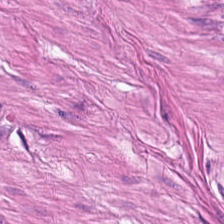Hematoxylin-and-eosin stained section. Muscularis.
